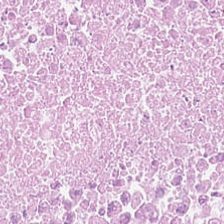WSI patch. Hematoxylin and eosin. Cellular debris.
